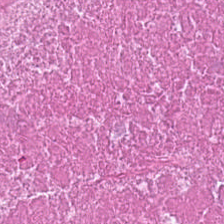FFPE; H&E-stained tissue section — Histology — debris.
